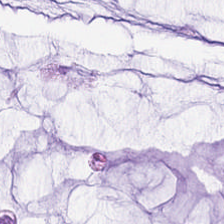0.5 µm/px · hematoxylin-and-eosin stained section — This patch shows mucin.
